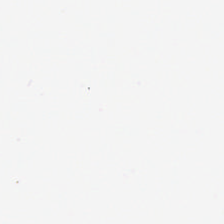Brightfield. Hematoxylin and eosin. Q: Classify this patch.
A: Background (no tissue).
